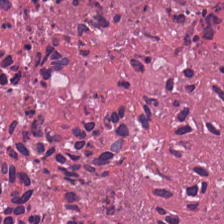H&E-stained tissue section · 224×224 px tile.
Necrotic debris.
